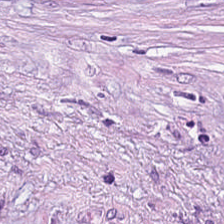Hematoxylin and eosin. Q: What tissue type is shown here?
A: The field shows desmoplastic stroma.
